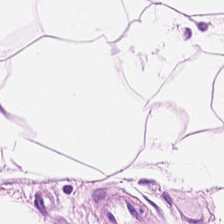H&E.
Predominantly adipose tissue.
